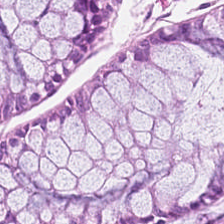H&E stain. Predominantly normal colon mucosa.
